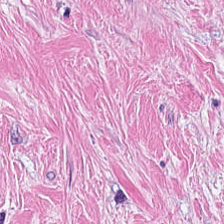H&E. The predominant tissue is tumor stroma.
